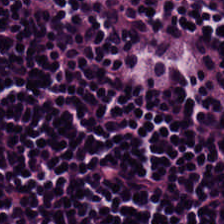H&E stain. Histology → lymphocyte aggregate.
